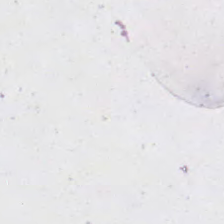H&E stain — Background — no tissue in this field.
